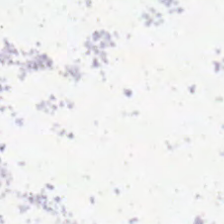Q: What does this patch show?
A: This is empty background.
